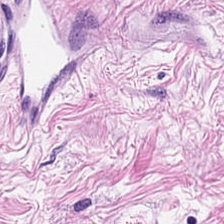The tissue here is desmoplastic stroma.
